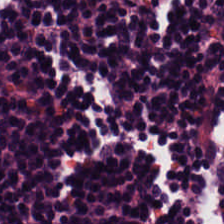Hematoxylin and eosin.
Showing lymphocyte aggregate.
